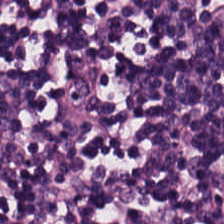Tissue — lymphocytic infiltrate.
